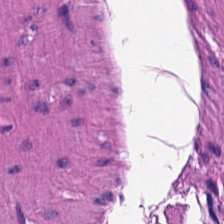Formalin-fixed paraffin-embedded section; whole-slide-image patch; hematoxylin-and-eosin stained section.
Predominantly smooth muscle.
